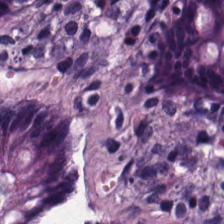Stain: H&E-stained tissue section.
Tissue: normal colonic mucosa.
